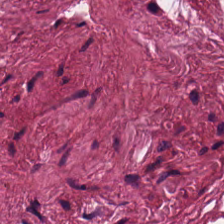Stain: H&E-stained tissue section.
Tissue type: cancer-associated stroma.
